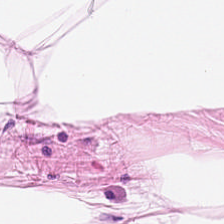Hematoxylin and eosin; 0.5 microns per pixel; formalin-fixed paraffin-embedded section — Q: What does this patch show?
A: This is fat tissue.
